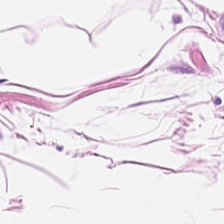Stain: hematoxylin and eosin.
Preparation: FFPE tissue section.
Classification: adipose tissue.
